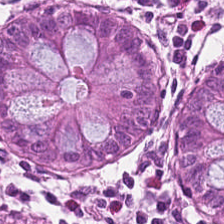H&E stain.
Q: What tissue is shown?
A: Non-neoplastic colon mucosa.
